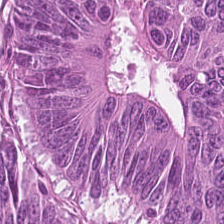0.5 µm/px; brightfield; hematoxylin-and-eosin stained section. The tissue here is malignant epithelium.
